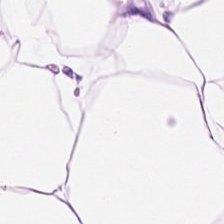Hematoxylin and eosin · 224×224 px patch.
This field is adipose.
